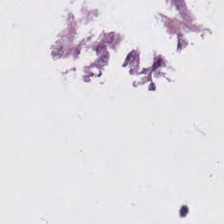H&E; formalin-fixed paraffin-embedded section. Q: What is shown in this field?
A: It is no tissue.
